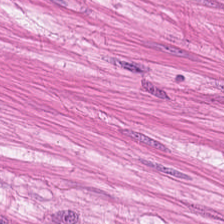H&E.
The predominant tissue is smooth muscle.
